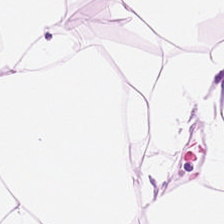Histology → fat tissue.
